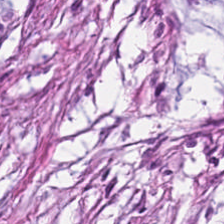Hematoxylin and eosin.
The tissue here is tumor stroma.
